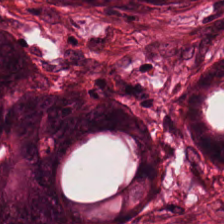H&E. The tissue here is tumor epithelium.
